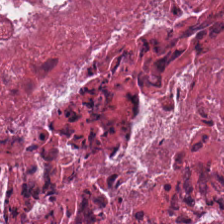The tissue class is debris.
